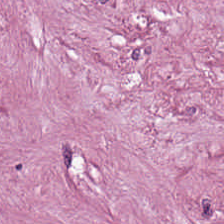Hematoxylin and eosin; 224×224 pixel tile.
Q: What tissue type is shown here?
A: This is desmoplastic stroma.
